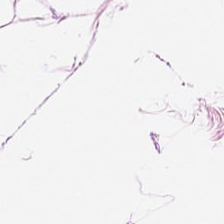H&E-stained tissue section. Q: What type of tissue is this?
A: This is adipose.
